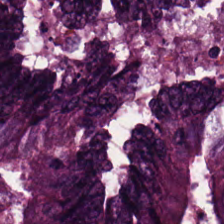Hematoxylin and eosin.
{"tissue_type": "tumor epithelium"}
